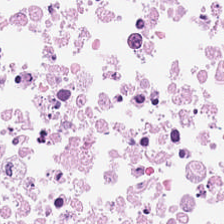H&E.
This patch shows debris.
